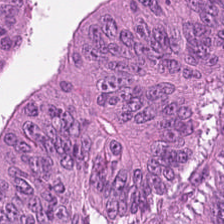FFPE tissue section. Hematoxylin-and-eosin stained section — Classification: tumor epithelium.
